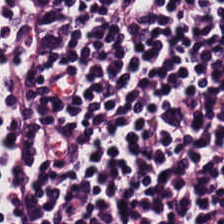224×224 px tile. H&E. Tissue = lymphocytes.
